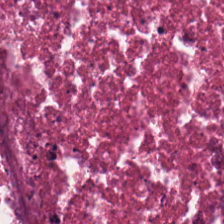The tissue here is cellular debris.
